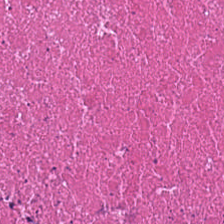Predominantly cellular debris.
